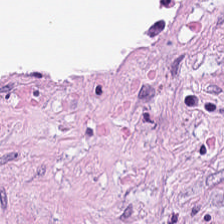H&E; brightfield — Q: What type of tissue is this?
A: Tumor stroma.
